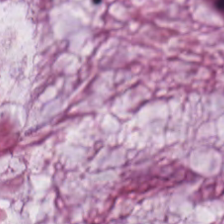H&E-stained tissue section. Q: Classify this patch.
A: This is extracellular mucin.
